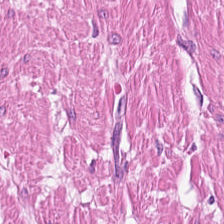Classification: smooth-muscle tissue.
